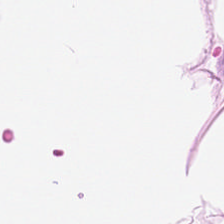H&E-stained tissue section — Q: Classify this patch.
A: The field shows adipocytes.
